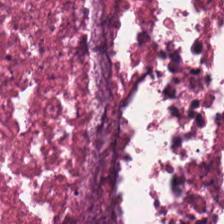H&E; FFPE tissue section — Tissue — debris.
